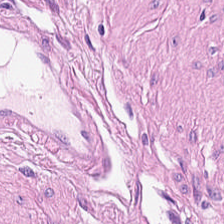Stain: H&E stain.
Tile size: 224×224 pixel tile.
Classification: muscularis.
